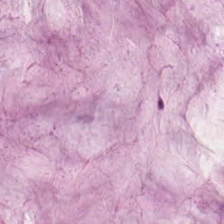Classification = mucin.
